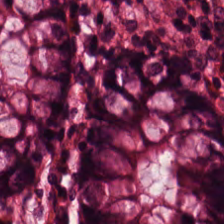FFPE tissue section · whole-slide-image patch · H&E. The tissue here is normal colon mucosa.
